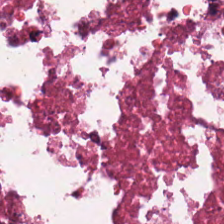Brightfield microscopy; formalin-fixed paraffin-embedded section; hematoxylin and eosin — Predominantly cellular debris.
